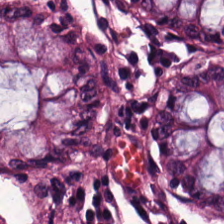H&E stain · 224×224 px tile · WSI patch.
The tissue here is non-neoplastic colon mucosa.
